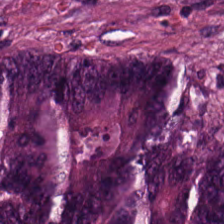H&E stain. 0.5 microns per pixel. 224×224 px patch. Tissue — tumor epithelium.
